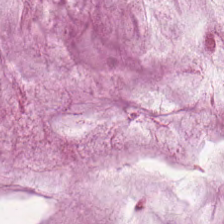Finding → mucus.
